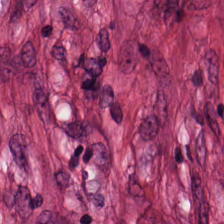H&E. Tumor-associated stroma.
